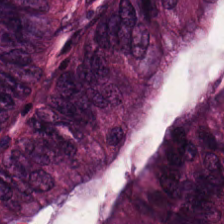0.5 µm/px. FFPE. H&E stain.
Q: What tissue is shown?
A: This is colorectal adenocarcinoma epithelium.
